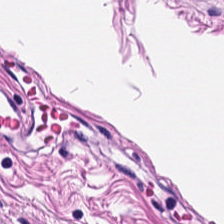224×224 px tile · H&E.
Q: What is the predominant tissue type?
A: It is smooth-muscle tissue.
